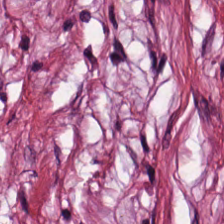H&E-stained tissue section — This patch shows tumor-associated stroma.
